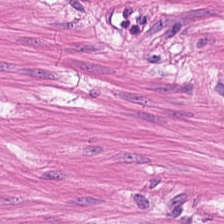Finding → smooth muscle.
